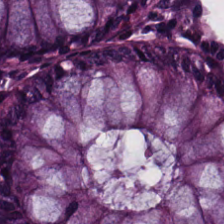Stain: H&E-stained tissue section.
Tissue type: normal colon mucosa.
